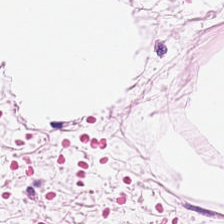Hematoxylin and eosin.
Histology → fat tissue.
